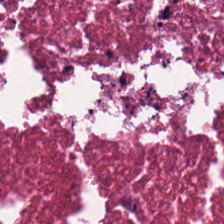The predominant tissue is cellular debris.
